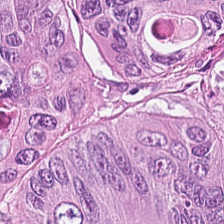Brightfield; hematoxylin-and-eosin stained section; FFPE. This field is colorectal adenocarcinoma epithelium.
